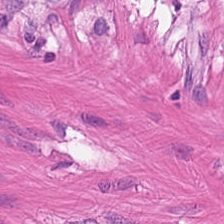H&E-stained tissue section.
Predominantly smooth muscle.
